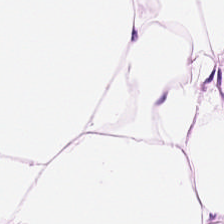Finding — adipocytes.
